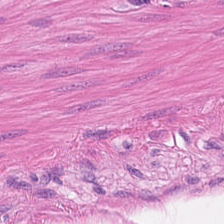Hematoxylin and eosin — Q: What type of tissue is this?
A: Muscularis.
